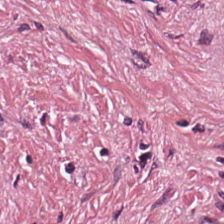Hematoxylin-and-eosin stained section — Tissue — tumor-associated stroma.
